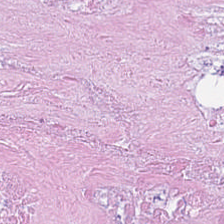20× equivalent magnification · hematoxylin-and-eosin stained section.
Predominant tissue: necrotic debris.
